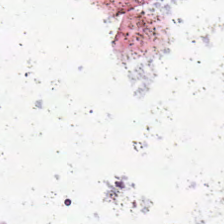H&E. WSI patch — Classification: background (no tissue).
